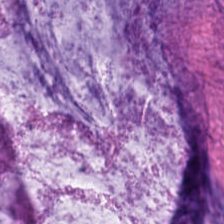H&E — The tissue here is extracellular mucin.
